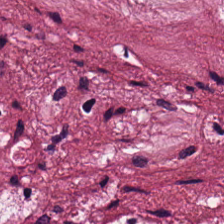Hematoxylin-and-eosin stained section. Tissue — tumor stroma.
